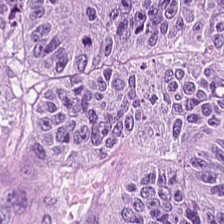Tissue type = tumor epithelium.
